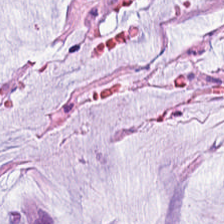Showing mucin.
